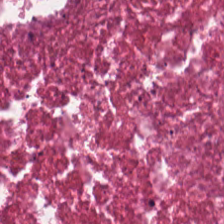224×224 px tile · H&E.
The predominant tissue is debris.
